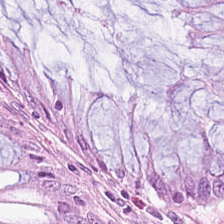Stain: H&E stain.
Classification: normal colon mucosa.
